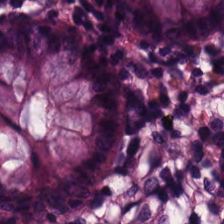Hematoxylin and eosin — Normal colonic mucosa.
